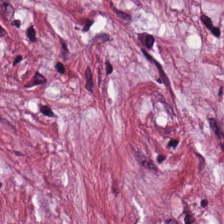Hematoxylin-and-eosin stained section; 224×224 px tile. Tissue class — desmoplastic stroma.
